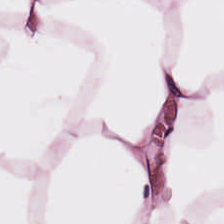This patch shows fat tissue.
